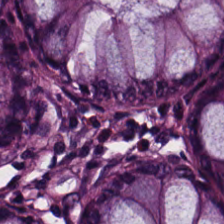Hematoxylin and eosin — This field is benign colonic mucosa.
